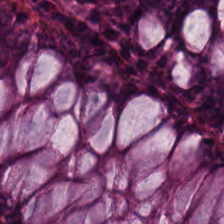0.5 µm/px. H&E.
The tissue here is normal colon mucosa.
